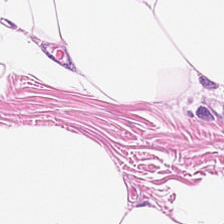H&E.
{"tissue_type": "adipocytes"}
